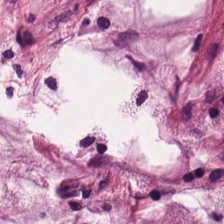0.5 µm/px · H&E stain · brightfield microscopy.
Tissue = mucin.
